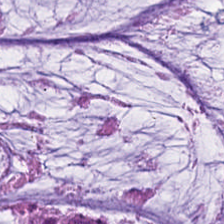Hematoxylin-and-eosin stained section · formalin-fixed paraffin-embedded section.
Q: What tissue is shown?
A: This is extracellular mucin.
